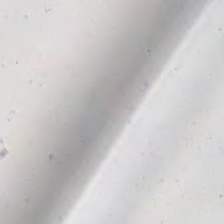Impression → background.
